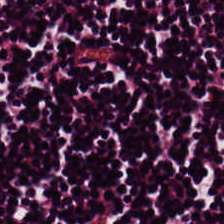H&E-stained tissue section showing lymphocytes.
